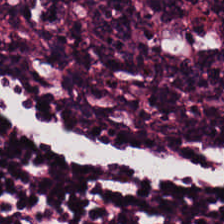H&E; 224×224 px patch.
{"tissue_type": "lymphocytic infiltrate"}
